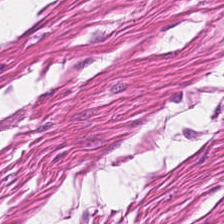Smooth-muscle tissue.
